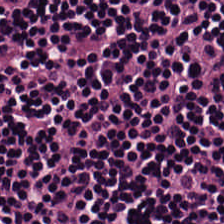H&E. This patch shows lymphoid infiltrate.
